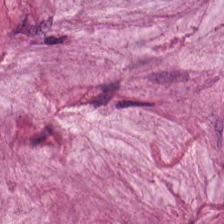Stain: hematoxylin and eosin.
Tissue: extracellular mucin.
